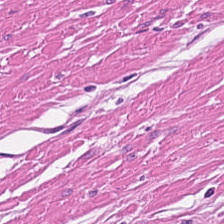The predominant tissue is smooth muscle.
